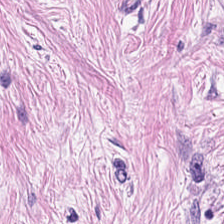The tissue here is tumor-associated stroma.
